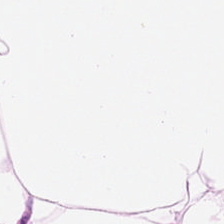H&E — This patch shows fat tissue.
